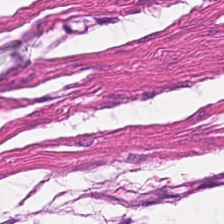H&E.
Predominantly smooth-muscle tissue.
